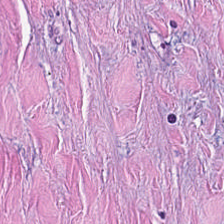224×224 pixel tile · H&E — Finding → desmoplastic stroma.
